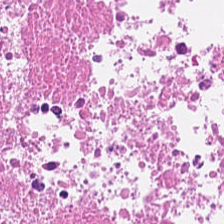Classification — debris.
